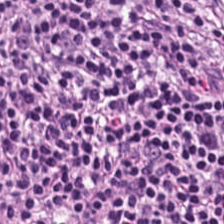H&E-stained tissue section.
Impression → lymphocytes.
